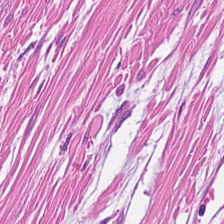Hematoxylin-and-eosin stained section — The predominant tissue is smooth muscle.
